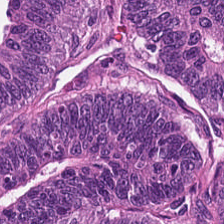FFPE tissue section. H&E-stained tissue section. Finding — adenocarcinoma.
